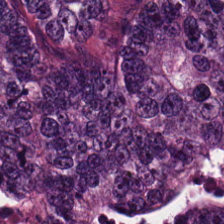0.5 µm per pixel · H&E stain. The predominant tissue is malignant epithelium.
